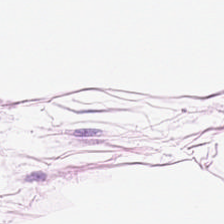H&E stain · FFPE tissue section — Adipose tissue.
